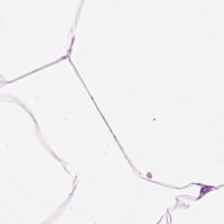Brightfield. H&E.
Q: Identify the tissue.
A: It is adipocytes.
